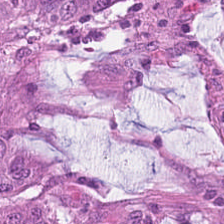Impression → colorectal adenocarcinoma.
